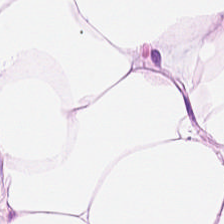H&E-stained tissue section — Predominantly adipocytes.
